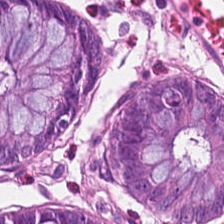Stain: H&E.
Tissue type: benign colonic mucosa.
